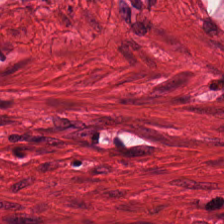Stain: H&E.
Acquisition: brightfield microscopy.
Preparation: formalin-fixed paraffin-embedded section.
Tissue class: muscularis.
